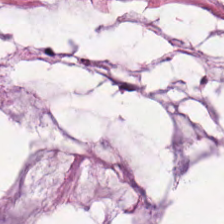H&E — Tissue class = extracellular mucin.
